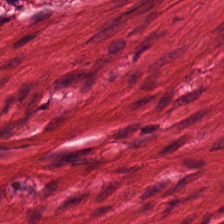The predominant tissue is muscularis.
